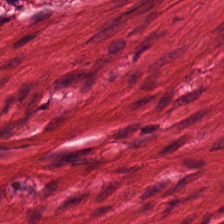The predominant tissue is muscularis.
